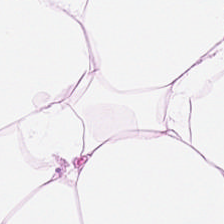Brightfield microscopy; 224×224 pixel tile; hematoxylin and eosin — The predominant tissue is adipose.
